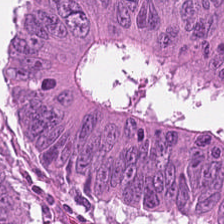The tissue type is adenocarcinoma.
